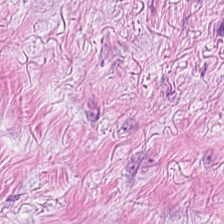Stain: hematoxylin-and-eosin stained section.
Tissue type: tumor-associated stroma.
